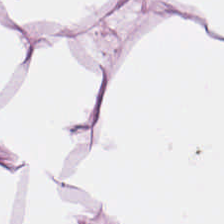Brightfield microscopy. FFPE tissue section. Hematoxylin-and-eosin stained section — The tissue type is adipocytes.
